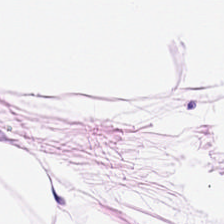H&E — Classification = adipocytes.
